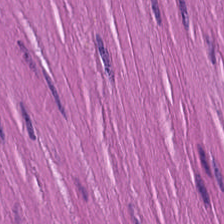Stain: H&E-stained tissue section.
Tissue type: muscularis.
